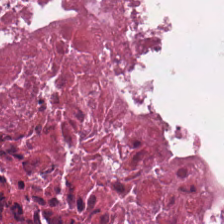H&E-stained tissue section. The predominant tissue is cellular debris.
